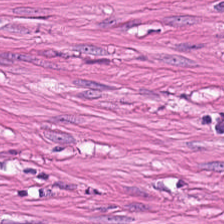H&E. Tissue class: smooth-muscle tissue.
